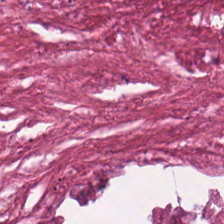Brightfield microscopy; hematoxylin and eosin — Predominantly cellular debris.
